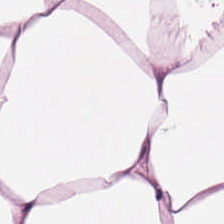Whole-slide-image patch · hematoxylin-and-eosin stained section. Finding — adipose.
